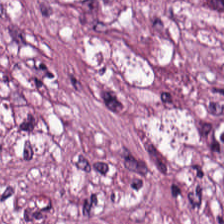FFPE tissue section. H&E. This field is desmoplastic stroma.
